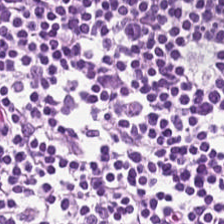Hematoxylin and eosin. The tissue here is lymphocyte aggregate.
